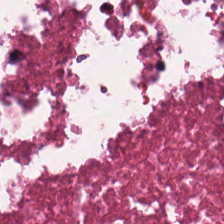WSI patch; H&E. The predominant tissue is debris.
